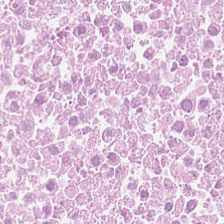Q: What tissue is shown?
A: It is debris.
